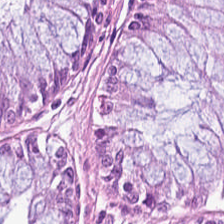Finding → benign colonic mucosa.
